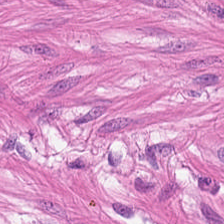Q: What is shown in this field?
A: Muscularis.
